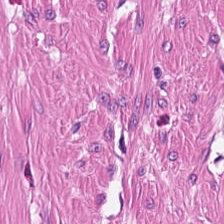H&E; formalin-fixed paraffin-embedded section.
The predominant tissue is muscularis.
